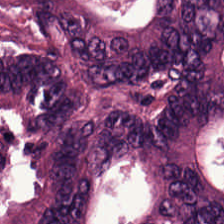Hematoxylin-and-eosin stained section; formalin-fixed paraffin-embedded section — Q: Identify the tissue.
A: The field shows colorectal adenocarcinoma epithelium.
